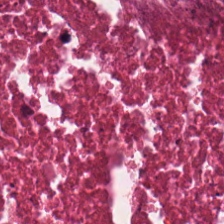224×224 pixel tile; hematoxylin-and-eosin stained section; FFPE tissue section — Tissue class — necrotic debris.
